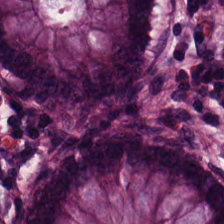Brightfield; hematoxylin and eosin.
This field is normal colonic mucosa.
